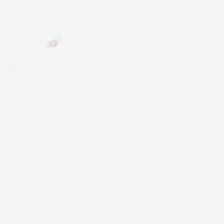No tissue present; background only.
